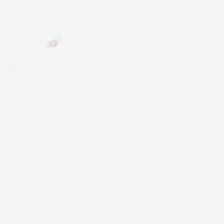No tissue present; background only.
